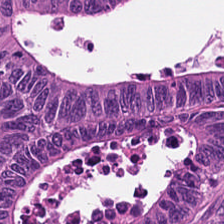0.5 µm/px · hematoxylin and eosin — Histology — tumor epithelium.
